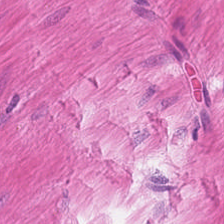Brightfield. 0.5 microns per pixel. Hematoxylin and eosin — This patch shows muscularis.
